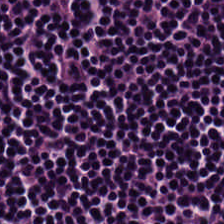Hematoxylin and eosin — Predominantly lymphocytic infiltrate.
